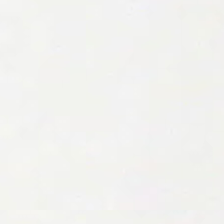Stain: hematoxylin and eosin.
Field content: background (no tissue).
